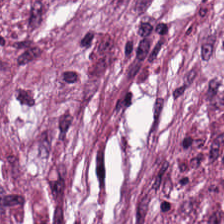Brightfield microscopy · H&E stain. The tissue here is cancer-associated stroma.
